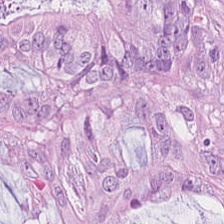H&E. Whole-slide-image patch. Tissue class — adenocarcinoma.
